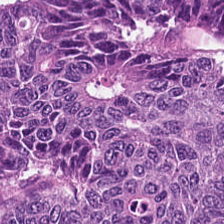H&E-stained tissue section; 0.5 microns per pixel. Tissue class: colorectal adenocarcinoma.
